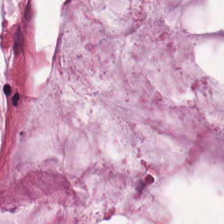Q: What tissue is shown?
A: It is extracellular mucin.
